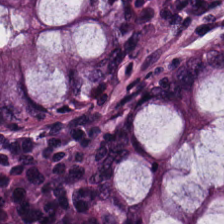H&E — Tissue class: normal colonic mucosa.
